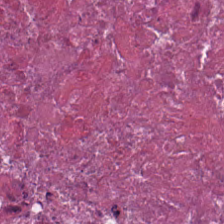Histology → debris.
